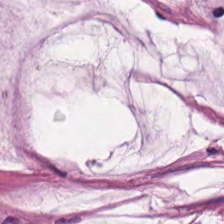H&E-stained tissue section.
Tissue type: extracellular mucin.
